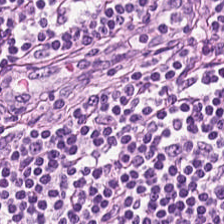Hematoxylin and eosin — Lymphocytic infiltrate.
